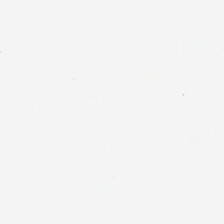H&E-stained tissue section. 0.5 µm/px — No tissue present; background only.
